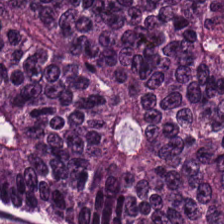Hematoxylin and eosin. Q: What is shown here?
A: Colorectal adenocarcinoma.
